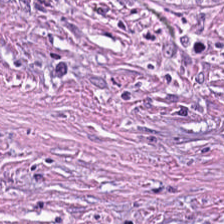H&E stain — The predominant tissue is desmoplastic stroma.
